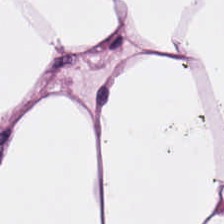Q: What is shown in this field?
A: Adipocytes.
